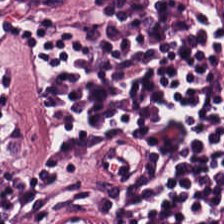{"tissue_type": "lymphoid infiltrate"}
